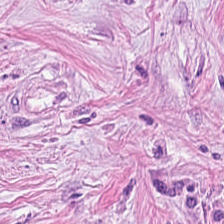H&E stain.
Finding → cancer-associated stroma.
